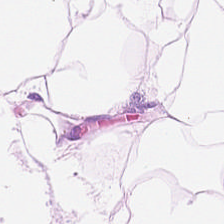H&E stain; 20× equivalent magnification.
Tissue — adipose tissue.
